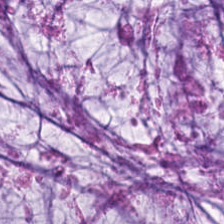Mucin.
